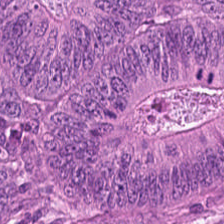Brightfield microscopy. FFPE. Hematoxylin-and-eosin stained section. The tissue type is colorectal adenocarcinoma.
